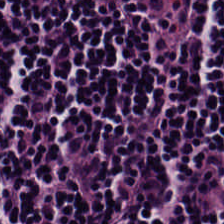Stain: hematoxylin and eosin.
Tissue: lymphoid infiltrate.
